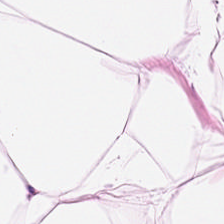Hematoxylin and eosin.
{"tissue_type": "fat tissue"}
